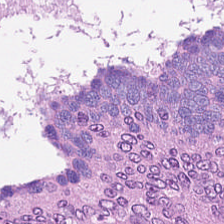H&E stain. Impression — tumor epithelium.
